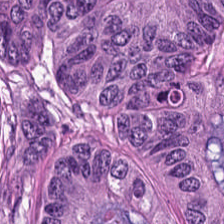Impression — colorectal adenocarcinoma.
